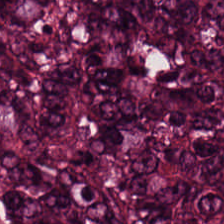H&E. Impression — tumor epithelium.
